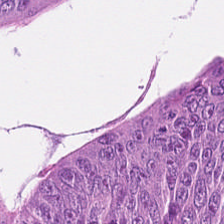FFPE tissue section; 0.5 microns per pixel; H&E.
Q: What is shown here?
A: This is malignant epithelium.
